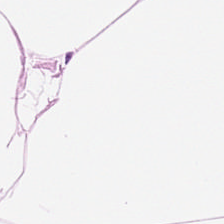224×224 px patch; H&E-stained tissue section; whole-slide-image patch.
Predominantly fat tissue.
